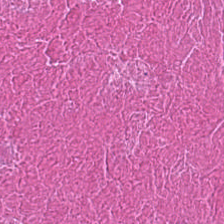224×224 px tile. 0.5 microns per pixel. Hematoxylin-and-eosin stained section.
Classification: cellular debris.
